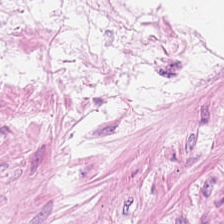H&E. Q: What is shown in this field?
A: This is smooth-muscle tissue.
